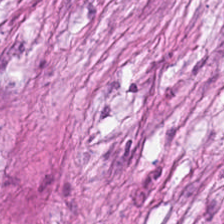Stain: hematoxylin and eosin.
Tissue class: cancer-associated stroma.
